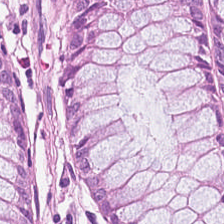FFPE tissue section · H&E-stained tissue section · 0.5 microns per pixel — Histology → benign colonic mucosa.
